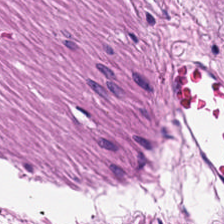Hematoxylin-and-eosin stained section — Classification — smooth-muscle tissue.
